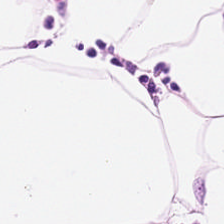Stain: H&E-stained tissue section.
Tile size: 224×224 px tile.
Classification: adipose.
